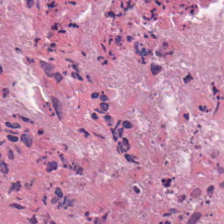Tissue type = cellular debris.
